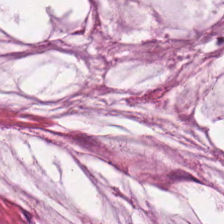H&E · 224×224 px patch — This field is extracellular mucin.
